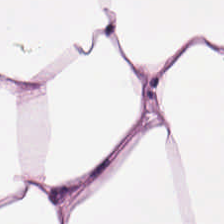Tissue class: fat tissue.
